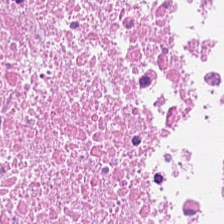0.5 µm per pixel. H&E. FFPE.
Q: Classify this patch.
A: Cellular debris.
